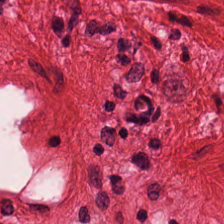This field is muscularis.
